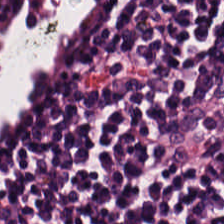Whole-slide-image patch. 0.5 µm per pixel. H&E. Tissue class: lymphocytes.
